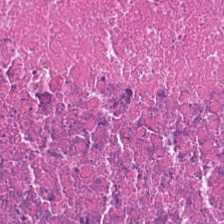H&E.
Classification: necrotic debris.
